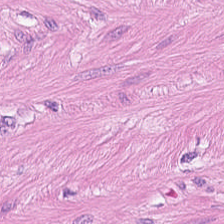Stain: hematoxylin and eosin.
Tissue: smooth muscle.
